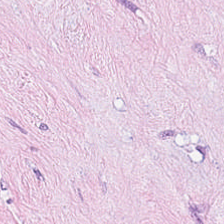FFPE tissue section; H&E-stained tissue section.
Q: What does this patch show?
A: Tumor stroma.
